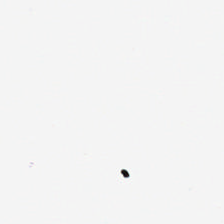Q: What does this patch show?
A: This is empty background.
